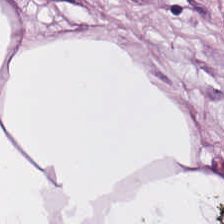Hematoxylin-and-eosin stained section; FFPE tissue section — Showing fat tissue.
